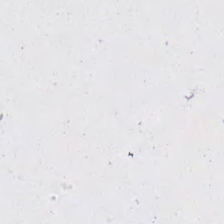Stain: hematoxylin-and-eosin stained section.
Classification: empty background.
